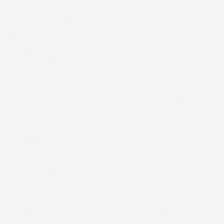Stain: hematoxylin and eosin.
Field content: empty background.
